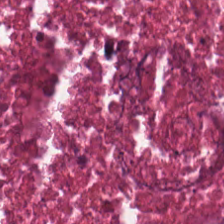Hematoxylin and eosin.
Q: What type of tissue is this?
A: The field shows debris.
